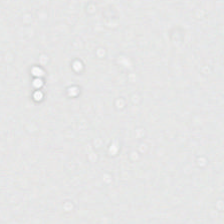Impression — background (no tissue).
